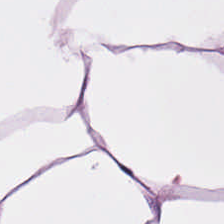Formalin-fixed paraffin-embedded section · H&E-stained tissue section. Finding — adipocytes.
